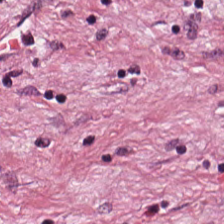H&E; brightfield microscopy — The tissue class is tumor stroma.
